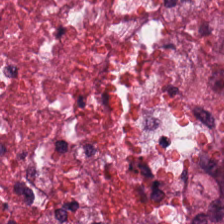0.5 µm/px · hematoxylin and eosin · formalin-fixed paraffin-embedded section — Predominant tissue — debris.
